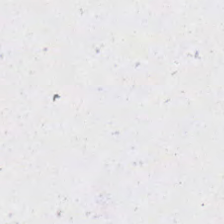H&E stain; WSI patch — Empty field — no tissue.
